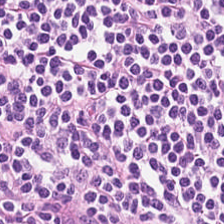H&E. Predominantly lymphocyte aggregate.
